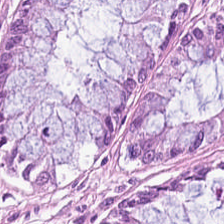Stain: H&E.
Acquisition: WSI patch.
Tile size: 224×224 px tile.
Predominant tissue: benign colonic mucosa.
